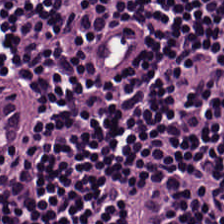FFPE. H&E — The predominant tissue is lymphocytic infiltrate.
